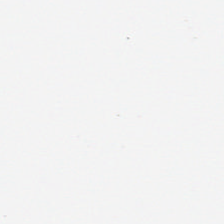H&E-stained tissue section.
Classification: empty background.
